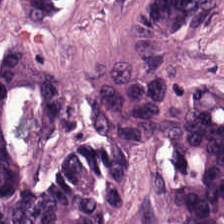FFPE. H&E — Predominantly colorectal adenocarcinoma.
